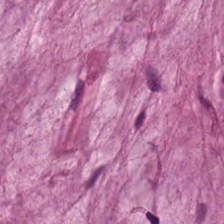Tissue class: mucus.
